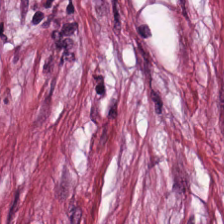H&E stain — Q: Classify this patch.
A: It is tumor stroma.
